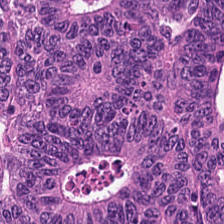Q: What does this patch show?
A: Colorectal adenocarcinoma.
